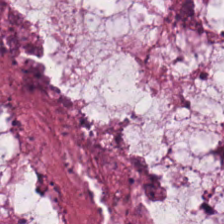Hematoxylin and eosin; 0.5 µm/px.
{"tissue_type": "mucin"}
